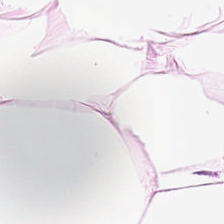Stain: H&E stain.
Tile size: 224×224 px patch.
Tissue class: adipose.
